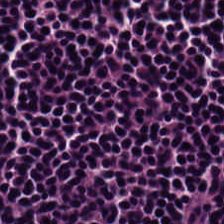Hematoxylin-and-eosin section: lymphocyte aggregate.
